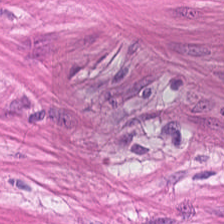Stain: hematoxylin and eosin.
Acquisition: brightfield microscopy.
Preparation: FFPE tissue section.
Tissue: smooth-muscle tissue.
